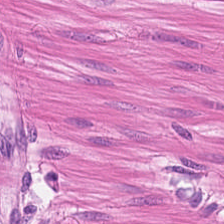Hematoxylin-and-eosin stained section.
The predominant tissue is smooth muscle.
